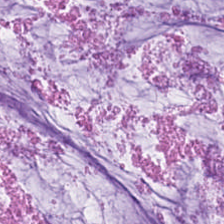Q: What does this patch show?
A: The field shows mucus.
